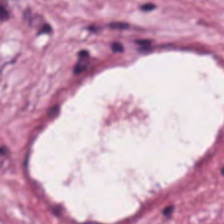Stain: H&E stain.
Classification: tumor-associated stroma.
